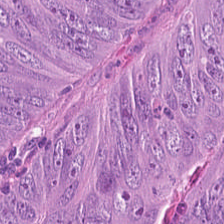Hematoxylin-and-eosin stained section. 224×224 px patch. 0.5 µm/px — Q: What is shown here?
A: The field shows colorectal adenocarcinoma epithelium.
